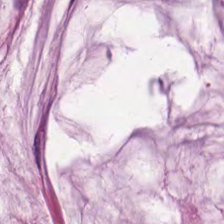H&E; 224×224 px tile; 20× equivalent magnification — Finding → extracellular mucin.
